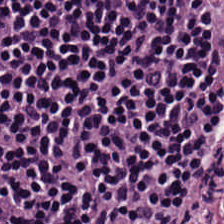H&E stain · brightfield microscopy.
This patch shows lymphocyte aggregate.
